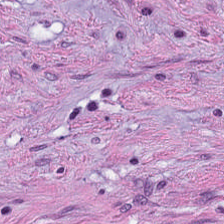224×224 px patch. H&E stain.
Predominant tissue — cancer-associated stroma.
